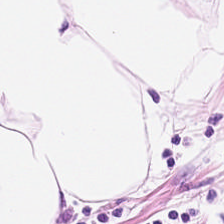0.5 µm/px · hematoxylin and eosin · whole-slide-image patch — {"tissue_type": "adipose tissue"}
